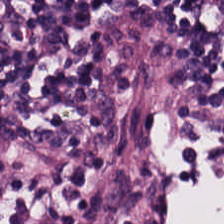Brightfield microscopy; H&E — Tissue type — lymphocytes.
